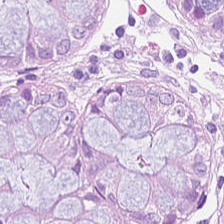H&E-stained tissue section.
The predominant tissue is non-neoplastic colon mucosa.
